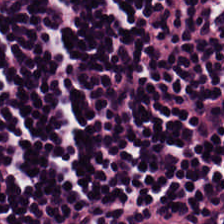H&E stain. Lymphocytic infiltrate.
